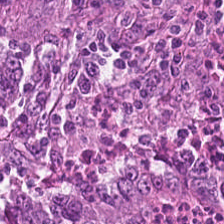Showing tumor epithelium.
